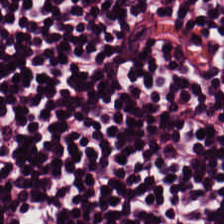H&E.
Tissue type: lymphocytes.
